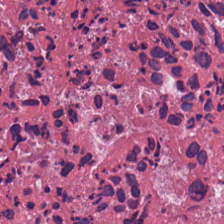Hematoxylin-and-eosin stained section. Brightfield. The predominant tissue is necrotic debris.
